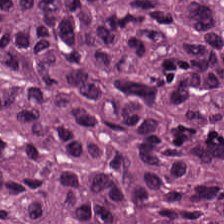Stain: H&E stain.
Preparation: FFPE tissue section.
Resolution: 0.5 microns per pixel.
Classification: colorectal adenocarcinoma epithelium.
